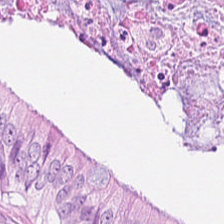H&E. Showing malignant epithelium.
